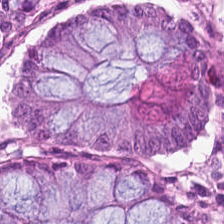Formalin-fixed paraffin-embedded section · H&E stain. This field is normal colon mucosa.
